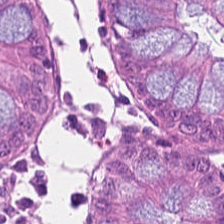Benign colonic mucosa.
